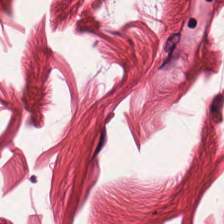H&E-stained tissue section; whole-slide-image patch; 224×224 pixel tile. Classification — muscularis.
